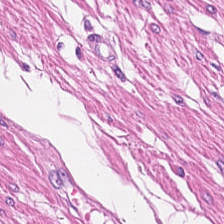Hematoxylin and eosin · 224×224 px patch. Predominantly smooth-muscle tissue.
